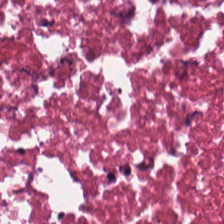Q: What tissue is shown?
A: The field shows debris.
